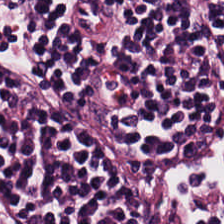224×224 px patch · hematoxylin and eosin. Classification: lymphocyte aggregate.
